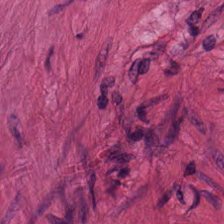Predominantly smooth muscle.
